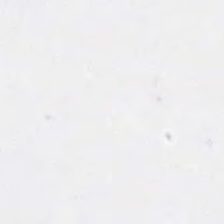H&E. Q: What is shown here?
A: The field shows background (no tissue).
